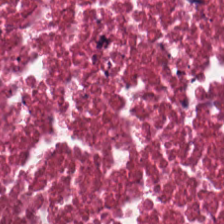H&E.
{"tissue_type": "cellular debris"}
